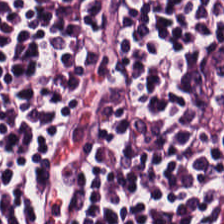H&E-stained tissue section — The tissue here is lymphocyte aggregate.
